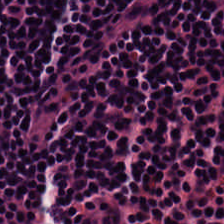Stain: hematoxylin and eosin.
Tile size: 224×224 px patch.
Resolution: 20× equivalent magnification.
Tissue class: lymphoid infiltrate.
